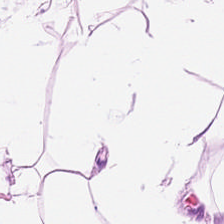H&E-stained tissue section; 0.5 microns per pixel — Q: What is the predominant tissue type?
A: Adipose.
